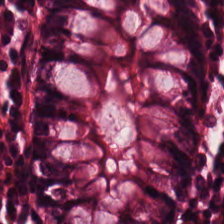Showing non-neoplastic colon mucosa.
